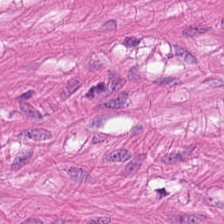20× equivalent magnification · 224×224 px tile · H&E stain.
Tissue class = muscularis.
